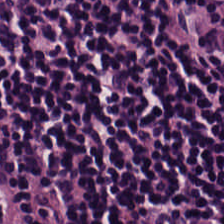Hematoxylin-and-eosin stained section · WSI patch. Classification — lymphocytic infiltrate.
